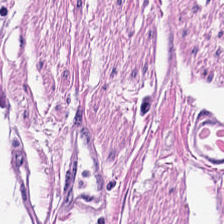0.5 µm per pixel · hematoxylin and eosin · 224×224 px patch.
Q: What is shown here?
A: Smooth muscle.
